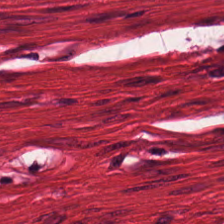0.5 µm/px · H&E-stained tissue section · formalin-fixed paraffin-embedded section — This field is smooth-muscle tissue.
